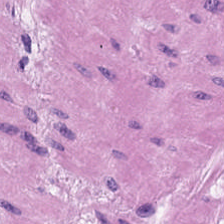Predominantly muscularis.
